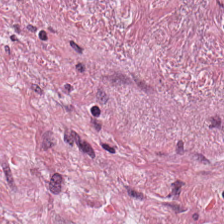Brightfield microscopy · H&E stain.
Predominant tissue = cancer-associated stroma.
